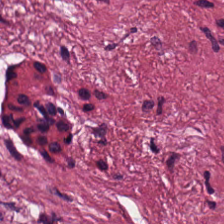Hematoxylin and eosin · 224×224 pixel tile. Predominantly tumor stroma.
